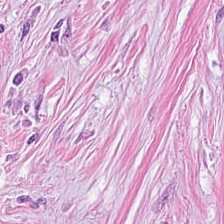H&E stain. Formalin-fixed paraffin-embedded section — Predominant tissue — cancer-associated stroma.
